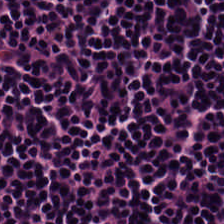Stain: hematoxylin and eosin.
Tissue class: lymphoid infiltrate.
